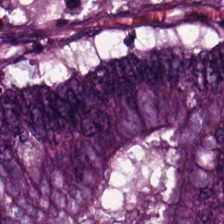Stain: H&E.
Classification: adenocarcinoma.
